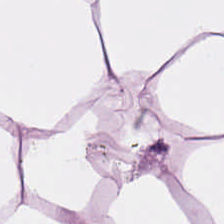Q: What is the predominant tissue type?
A: It is adipocytes.
